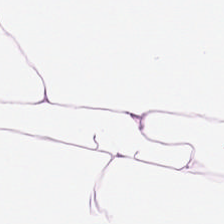Hematoxylin and eosin.
Q: What does this patch show?
A: The field shows adipose tissue.
